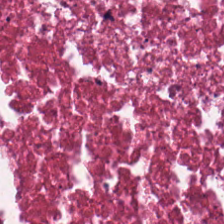Q: Identify the tissue.
A: This is necrotic debris.
